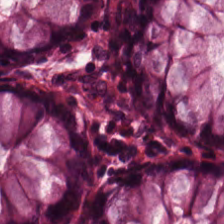FFPE tissue section. H&E stain. Brightfield microscopy. The tissue here is normal colon mucosa.
